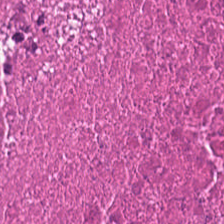Predominant tissue: necrotic debris.
